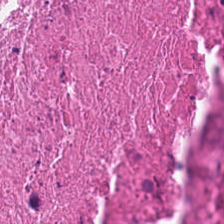H&E-stained tissue section.
The tissue here is debris.
